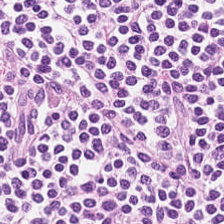Hematoxylin and eosin — Impression → lymphoid infiltrate.
